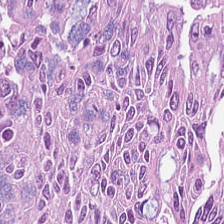Malignant epithelium.
